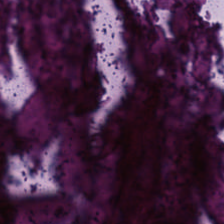Hematoxylin-and-eosin stained section.
Showing necrotic debris.
